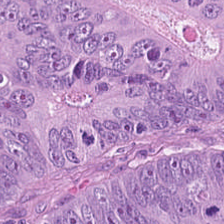{"tissue_type": "adenocarcinoma"}
